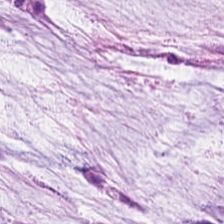H&E stain. 224×224 px patch — Q: What is the predominant tissue type?
A: The field shows mucin.
